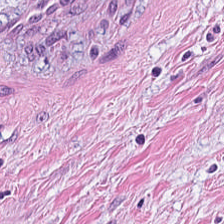The predominant tissue is tumor-associated stroma.
